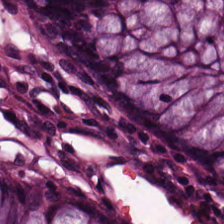{"tissue_type": "non-neoplastic colon mucosa"}
